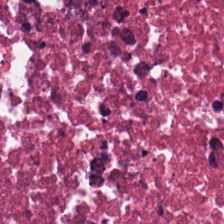Stain: H&E stain.
Classification: debris.
